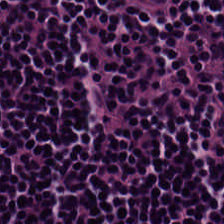Hematoxylin and eosin — The tissue here is lymphocyte aggregate.
